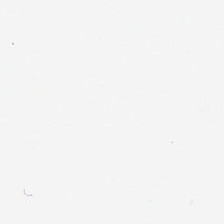H&E stain. Q: Classify this patch.
A: The field shows empty background.
